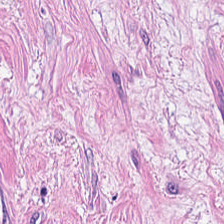Whole-slide-image patch; hematoxylin and eosin; formalin-fixed paraffin-embedded section. Predominantly desmoplastic stroma.
